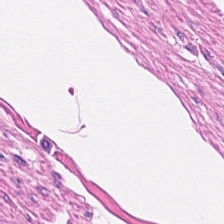0.5 µm/px. H&E stain. Brightfield microscopy.
Tissue = smooth muscle.
